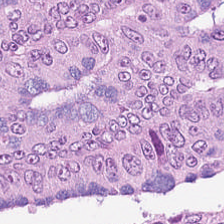224×224 px patch. Hematoxylin-and-eosin stained section — Classification — colorectal adenocarcinoma epithelium.
